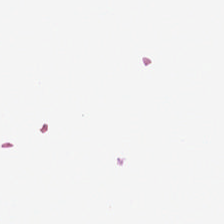0.5 µm per pixel · FFPE · H&E stain.
No tissue present; background only.
